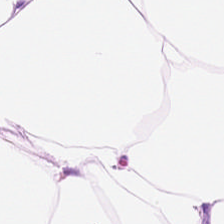H&E stain — Q: What does this patch show?
A: It is adipose tissue.
